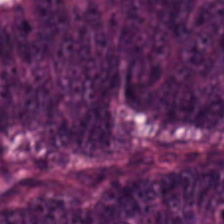Hematoxylin-and-eosin stained section; 224×224 px patch. The tissue here is adenocarcinoma.
